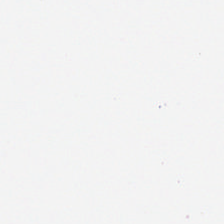Stain: H&E.
Classification: empty background.
